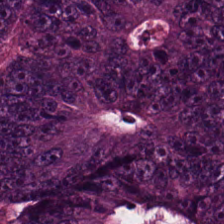H&E stain. 0.5 µm/px — Predominantly malignant epithelium.
